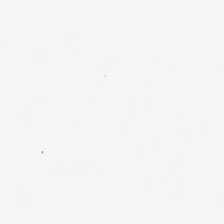Brightfield · hematoxylin-and-eosin stained section. This field is background (no tissue).
